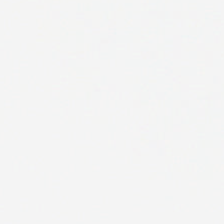H&E stain. Histology → background.
